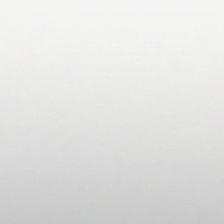H&E.
Empty field — empty background.
